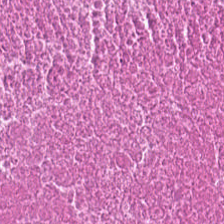Histology — cellular debris.
